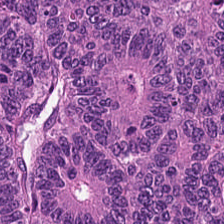H&E — Predominantly colorectal adenocarcinoma.
